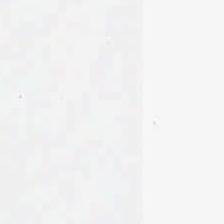Hematoxylin and eosin; 20× equivalent magnification — This patch shows background (no tissue).
